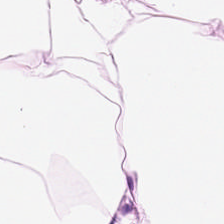H&E stain — The tissue class is adipose tissue.
